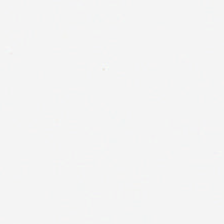Stain: H&E-stained tissue section.
Classification: empty background.
